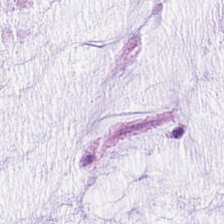H&E-stained tissue section — Tissue = mucin.
